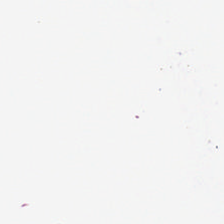Hematoxylin-and-eosin stained section — The classification is no tissue.
